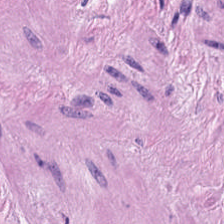FFPE. H&E stain.
Q: What type of tissue is this?
A: Smooth-muscle tissue.
